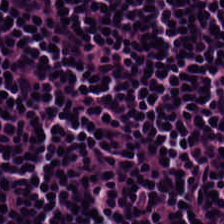The predominant tissue is lymphocytic infiltrate.
